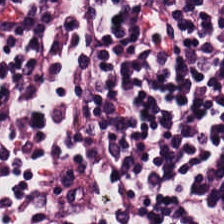Hematoxylin and eosin. Q: What type of tissue is this?
A: Lymphocyte aggregate.
